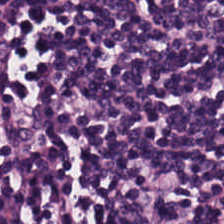Brightfield microscopy · H&E. Lymphocytes.
